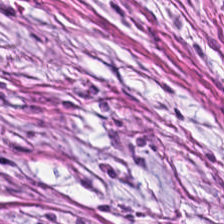FFPE; H&E stain; whole-slide-image patch.
Predominantly desmoplastic stroma.
